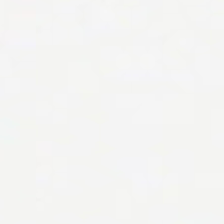Stain: hematoxylin and eosin.
Resolution: 0.5 microns per pixel.
Content: empty background.
